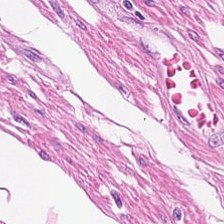Classification: smooth-muscle tissue.
